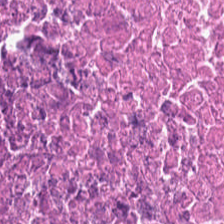Brightfield; 224×224 px tile; hematoxylin-and-eosin stained section. Showing necrotic debris.
